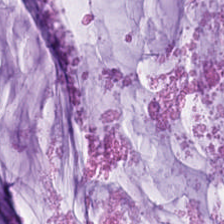224×224 pixel tile · H&E stain. Q: What is shown here?
A: It is mucus.
